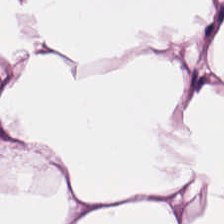H&E stain. 224×224 px patch. Brightfield.
Histology — fat tissue.
